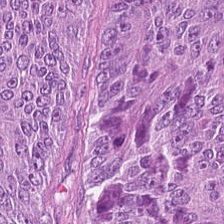Hematoxylin-and-eosin stained section — This patch shows malignant epithelium.
